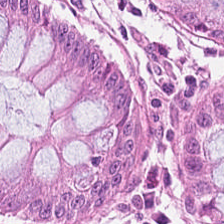{"tissue_type": "non-neoplastic colon mucosa"}
